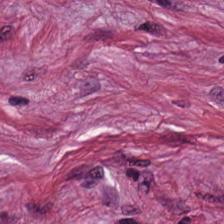Formalin-fixed paraffin-embedded section. Whole-slide-image patch. H&E. Q: What is shown in this field?
A: This is tumor-associated stroma.
